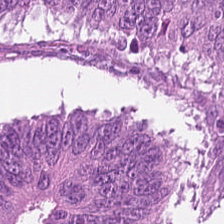Stain: H&E.
Predominant tissue: colorectal adenocarcinoma epithelium.
